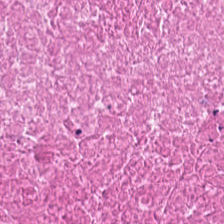H&E.
The tissue here is cellular debris.
